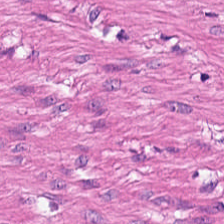0.5 µm/px. Hematoxylin-and-eosin stained section — This patch shows smooth-muscle tissue.
